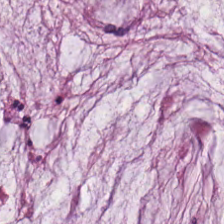The tissue here is mucin.
